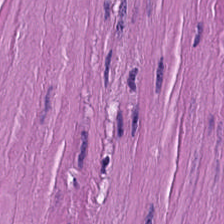Formalin-fixed paraffin-embedded section; hematoxylin-and-eosin stained section. Q: Classify this patch.
A: It is smooth-muscle tissue.
